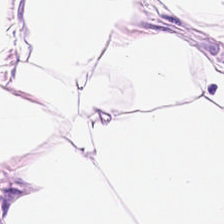Predominant tissue — adipose.
